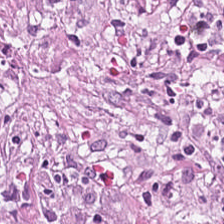Hematoxylin and eosin.
Impression → desmoplastic stroma.
